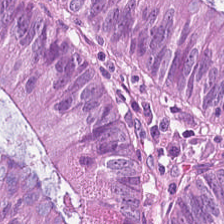H&E. The tissue here is malignant epithelium.
